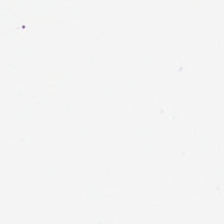Empty field — background.
